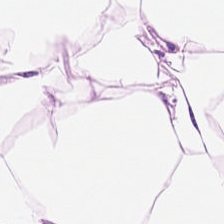{"tissue_type": "adipocytes"}
